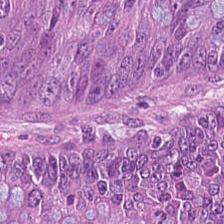224×224 px patch; brightfield; H&E-stained tissue section.
Q: What is shown in this field?
A: Adenocarcinoma.
